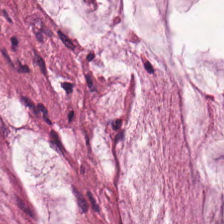H&E. Mucin.
